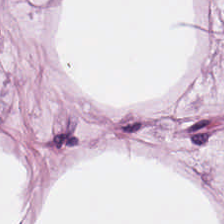Tissue class — fat tissue.
